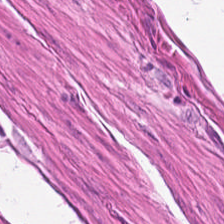Finding — muscularis.
